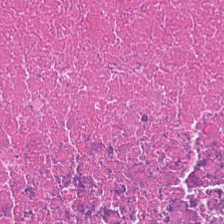H&E-stained tissue section.
The predominant tissue is cellular debris.
